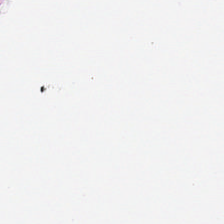H&E stain. Background.
